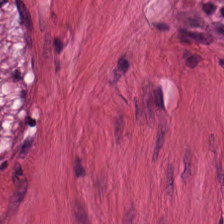Stain: hematoxylin-and-eosin stained section.
Tile size: 224×224 px patch.
Preparation: formalin-fixed paraffin-embedded section.
Tissue: smooth muscle.
